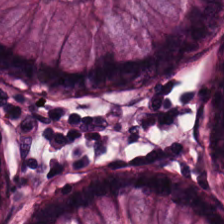Stain: H&E stain.
Tissue class: benign colonic mucosa.
